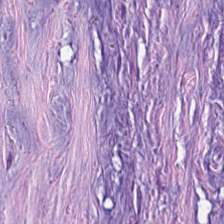H&E stain · 0.5 µm per pixel.
Q: What is the predominant tissue type?
A: This is cancer-associated stroma.
